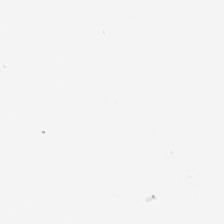No tissue present; background only.
